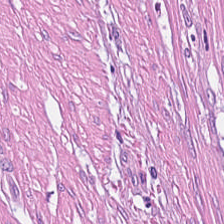WSI patch. Hematoxylin and eosin — Tissue = tumor-associated stroma.
